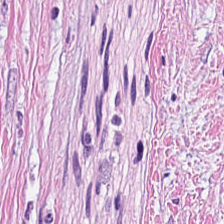20× equivalent magnification; H&E.
Showing desmoplastic stroma.
